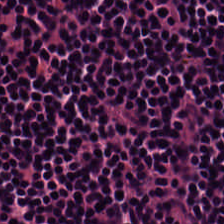Stain: hematoxylin and eosin.
Acquisition: whole-slide-image patch.
Tile size: 224×224 pixel tile.
Predominant tissue: lymphoid infiltrate.
